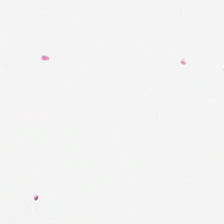224×224 pixel tile · hematoxylin and eosin · 20× equivalent magnification.
Classification = background.
